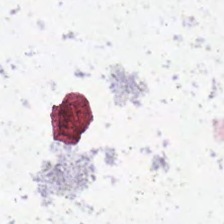H&E. Q: What does this patch show?
A: This is background (no tissue).
